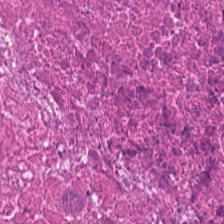224×224 px patch; hematoxylin and eosin. This field is cellular debris.
